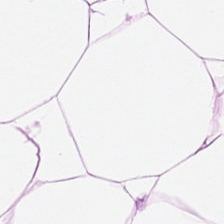H&E-stained tissue section · 224×224 px patch — Finding → adipose tissue.
